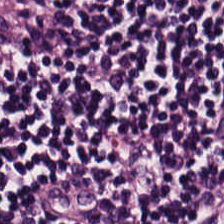Q: Identify the tissue.
A: The field shows lymphocytes.
